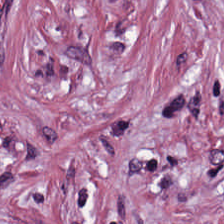H&E-stained tissue section. Brightfield microscopy. Tissue type = cancer-associated stroma.
